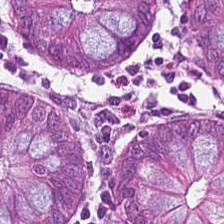Impression → benign colonic mucosa.
